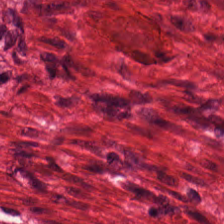Brightfield microscopy. H&E-stained tissue section — Q: What tissue is shown?
A: This is smooth-muscle tissue.
